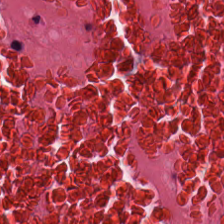Stain: H&E.
Classification: necrotic debris.
